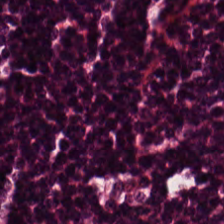H&E stain.
Impression — lymphocyte aggregate.
